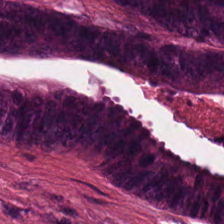Hematoxylin and eosin. Q: What tissue is shown?
A: Malignant epithelium.
